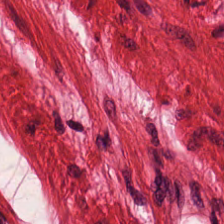Hematoxylin and eosin.
Smooth-muscle tissue.
